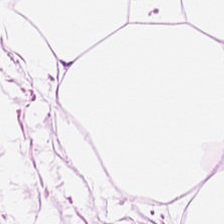Hematoxylin-and-eosin section: fat tissue.
